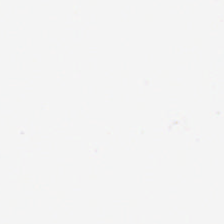Hematoxylin-and-eosin stained section — Q: What does this patch show?
A: The field shows background.
